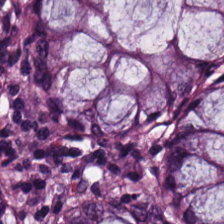Stain: H&E.
Tile size: 224×224 pixel tile.
Tissue class: normal colon mucosa.
